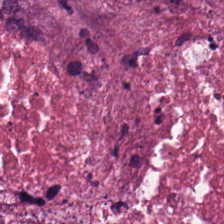H&E stain.
Predominant tissue = cellular debris.
